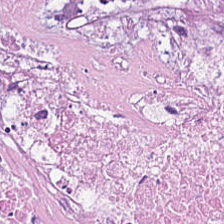Stain: hematoxylin and eosin.
Resolution: 20× equivalent magnification.
Tissue: debris.
